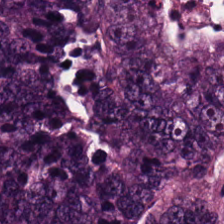{"tissue_type": "colorectal adenocarcinoma"}
